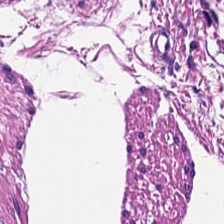FFPE; hematoxylin-and-eosin stained section.
Tissue — smooth-muscle tissue.
